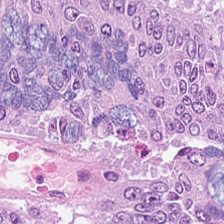H&E-stained tissue section.
The tissue type is adenocarcinoma.
